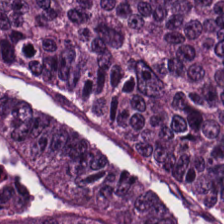Brightfield microscopy; H&E — Malignant epithelium.
